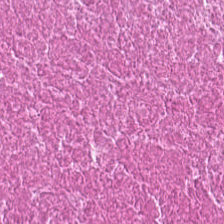0.5 µm/px. Hematoxylin-and-eosin stained section. Brightfield microscopy — Predominantly necrotic debris.
